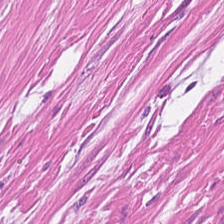Whole-slide-image patch · hematoxylin and eosin · FFPE — {"tissue_type": "smooth-muscle tissue"}
